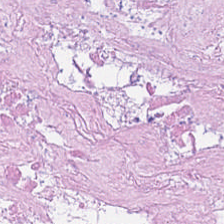Hematoxylin-and-eosin stained section. This field is necrotic debris.
